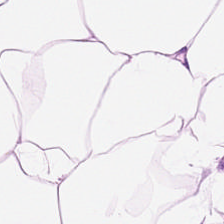Stain: hematoxylin-and-eosin stained section.
Preparation: FFPE tissue section.
Predominant tissue: adipose.
